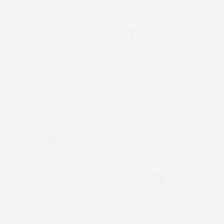Hematoxylin and eosin; FFPE tissue section. Classification = no tissue.
